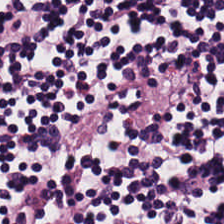Lymphoid infiltrate.
